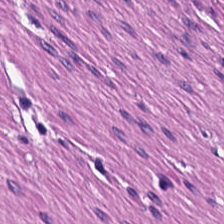H&E-stained tissue section. 20× equivalent magnification.
Predominant tissue = smooth-muscle tissue.
